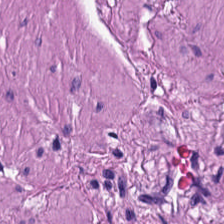20× equivalent magnification; H&E — Finding → muscularis.
